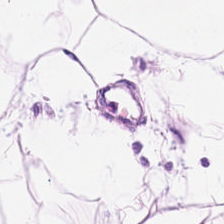224×224 px patch · H&E. This field is adipose.
